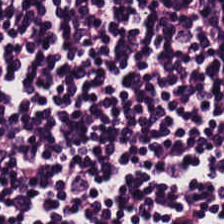Stain: hematoxylin-and-eosin stained section.
Acquisition: brightfield.
Classification: lymphocytes.
